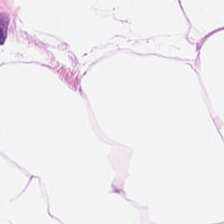20× equivalent magnification. Hematoxylin and eosin. FFPE.
Histology → adipose tissue.
